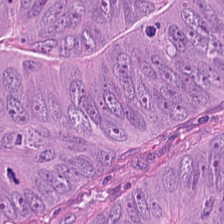Hematoxylin and eosin. The tissue here is colorectal adenocarcinoma.
